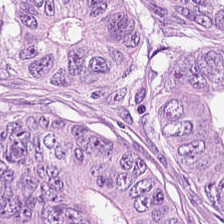Hematoxylin and eosin. This patch shows colorectal adenocarcinoma.
